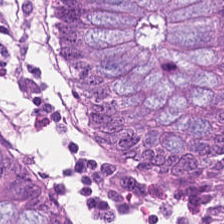Predominant tissue: benign colonic mucosa.
